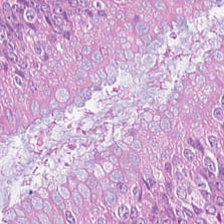Stain: hematoxylin and eosin.
Tissue: adenocarcinoma.
